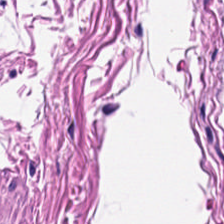H&E-stained tissue section — Classification — smooth-muscle tissue.
